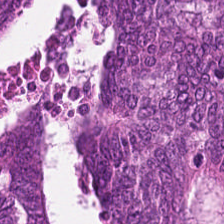Hematoxylin and eosin. Classification: colorectal adenocarcinoma.
